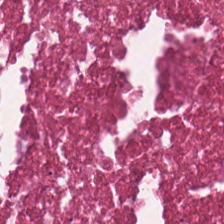0.5 microns per pixel. H&E. 224×224 px tile — Q: What is the predominant tissue type?
A: It is debris.
